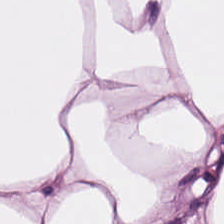Formalin-fixed paraffin-embedded section; H&E.
Showing adipocytes.
